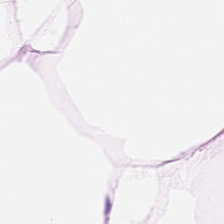H&E stain.
Tissue: adipocytes.
